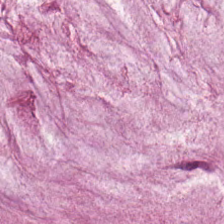0.5 µm per pixel. Hematoxylin and eosin. This field is mucus.
